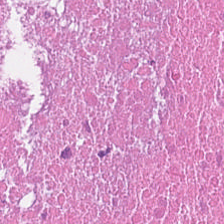H&E; 224×224 px tile; WSI patch — Debris.
